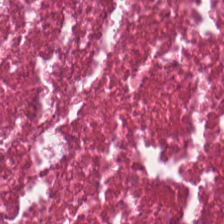Stain: H&E-stained tissue section.
Tissue type: debris.
